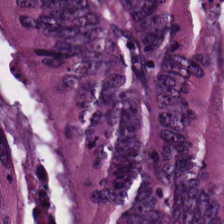H&E. Q: What does this patch show?
A: It is adenocarcinoma.
